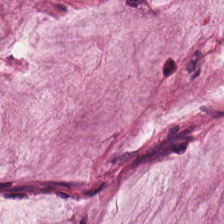H&E-stained tissue section; 20× equivalent magnification.
Impression → mucin.
